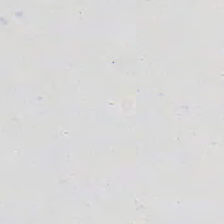H&E — This field is background (no tissue).
